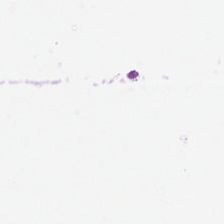H&E — Q: What is shown in this field?
A: The field shows background.
